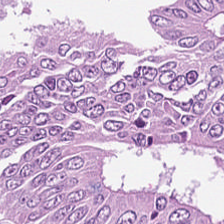Hematoxylin and eosin; FFPE. This patch shows tumor epithelium.
